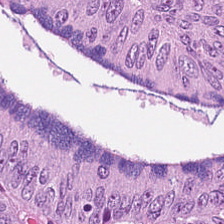This patch shows tumor epithelium.
